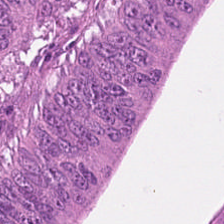H&E-stained tissue section. Q: What tissue type is shown here?
A: This is colorectal adenocarcinoma.
